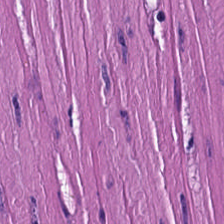Brightfield microscopy. Hematoxylin and eosin — Q: What type of tissue is this?
A: The field shows smooth-muscle tissue.
